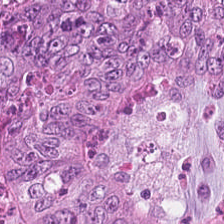{"tissue_type": "adenocarcinoma"}
